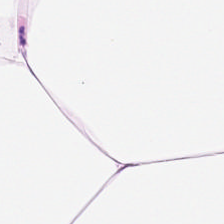Hematoxylin and eosin — Classification — adipose.
